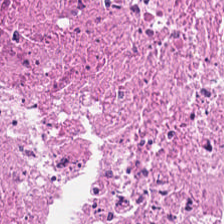Hematoxylin-and-eosin stained section; FFPE tissue section; 224×224 pixel tile.
This field is debris.
